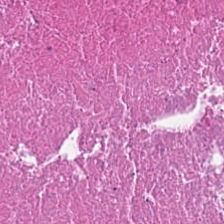H&E; 0.5 µm/px — Tissue class: necrotic debris.
